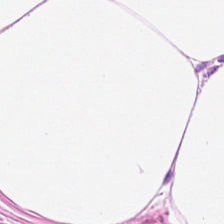H&E-stained tissue section. 224×224 pixel tile.
Tissue class = adipose tissue.
